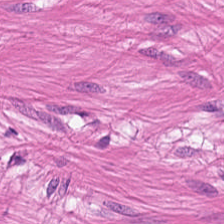FFPE · H&E · 224×224 px patch.
This patch shows muscularis.
